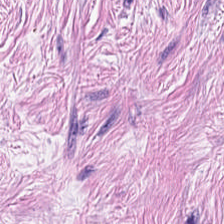H&E. Showing tumor-associated stroma.
